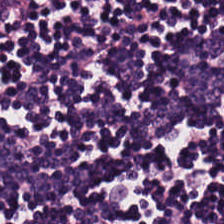Stain: H&E stain.
Tile size: 224×224 px tile.
Tissue: lymphoid infiltrate.
